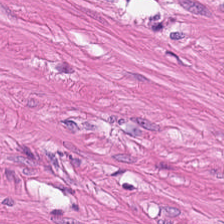Stain: hematoxylin-and-eosin stained section.
Tile size: 224×224 px tile.
Acquisition: brightfield microscopy.
Tissue: smooth muscle.
